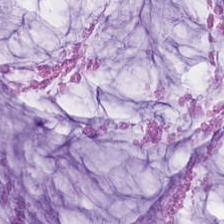Whole-slide-image patch · hematoxylin-and-eosin stained section — Q: What is shown here?
A: Extracellular mucin.
